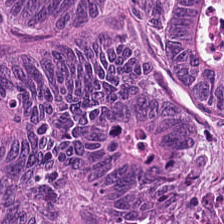224×224 px tile. Hematoxylin-and-eosin stained section. 0.5 microns per pixel. {"tissue_type": "tumor epithelium"}
